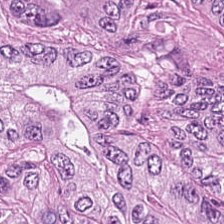H&E stain. The tissue here is tumor epithelium.
